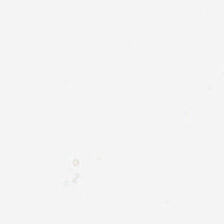0.5 microns per pixel. H&E-stained tissue section. 224×224 pixel tile. Impression — no tissue.
